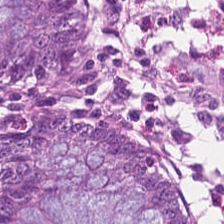Stain: H&E.
Tissue type: normal colon mucosa.
